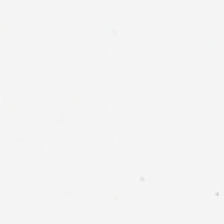Hematoxylin-and-eosin stained section; 0.5 microns per pixel; brightfield microscopy. No tissue present; background only.
